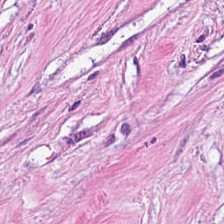0.5 µm per pixel; 224×224 px patch; hematoxylin-and-eosin stained section. Q: What type of tissue is this?
A: The field shows cancer-associated stroma.
